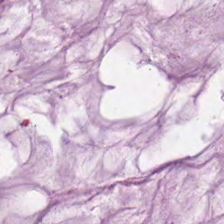H&E-stained tissue section — This patch shows mucin.
